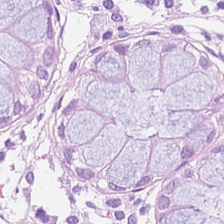Formalin-fixed paraffin-embedded section. 224×224 pixel tile. H&E-stained tissue section — Tissue: normal colon mucosa.
